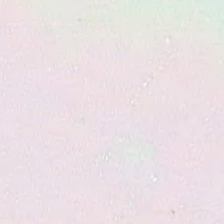Background — no tissue in this field.
